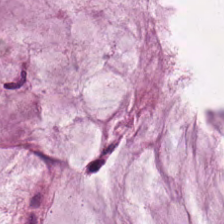Stain: hematoxylin-and-eosin stained section.
Acquisition: brightfield.
Tile size: 224×224 px patch.
Tissue type: extracellular mucin.
